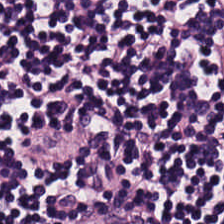H&E-stained tissue section.
The tissue type is lymphocytes.
